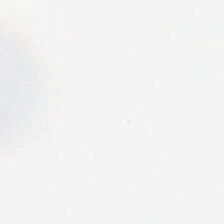Formalin-fixed paraffin-embedded section; H&E; 0.5 microns per pixel. {"content": "background"}
